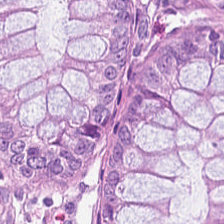Formalin-fixed paraffin-embedded section · H&E — Finding — normal colonic mucosa.
